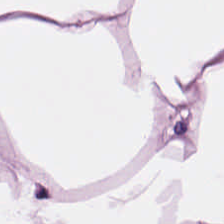Predominant tissue: adipose tissue.
